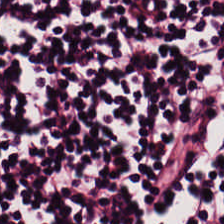Tissue class: lymphocytes.
